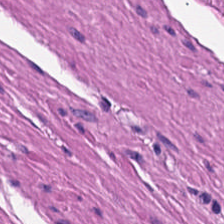{"tissue_type": "smooth-muscle tissue"}
